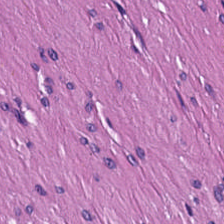H&E-stained section; the field shows muscularis.
